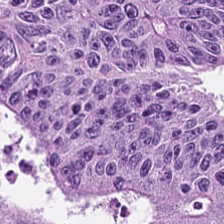H&E. Tissue: adenocarcinoma.
